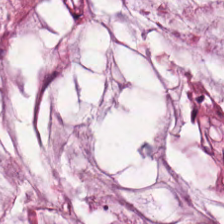H&E — extracellular mucin.
